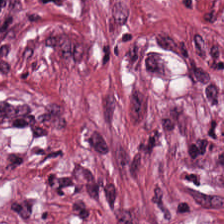Finding → tumor-associated stroma.
